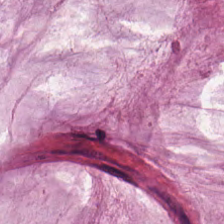Mucin.
